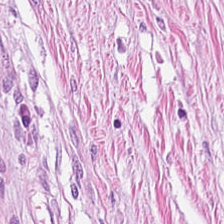H&E-stained tissue section. Brightfield.
Classification = cancer-associated stroma.
